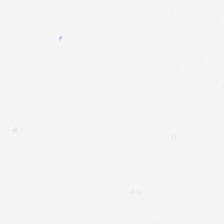H&E stain; 0.5 µm/px; whole-slide-image patch — This field is background (no tissue).
